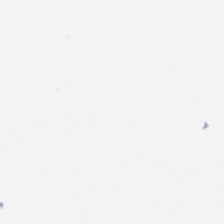H&E-stained tissue section — This field is background (no tissue).
